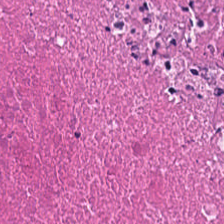0.5 µm/px. 224×224 px patch. H&E stain.
Tissue class — necrotic debris.
